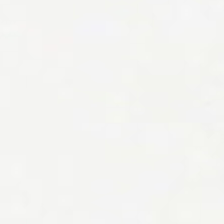Hematoxylin-and-eosin stained section.
The field content is no tissue.
